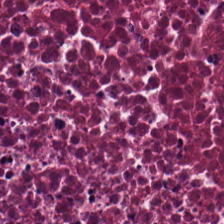224×224 pixel tile · brightfield microscopy · H&E-stained tissue section. Q: What does this patch show?
A: This is cellular debris.
